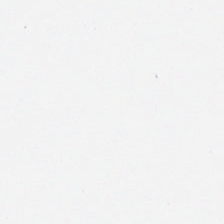Finding — no tissue.
